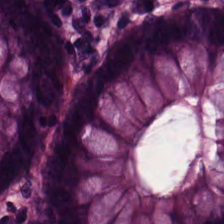Stain: hematoxylin-and-eosin stained section.
Resolution: 0.5 µm/px.
Acquisition: brightfield microscopy.
Tissue class: normal colon mucosa.
